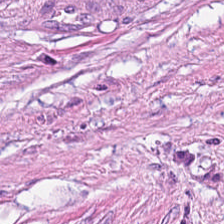H&E stain — This patch shows tumor stroma.
